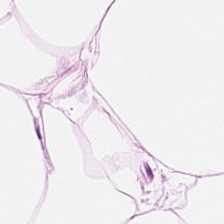H&E-stained tissue section — Adipose tissue.
